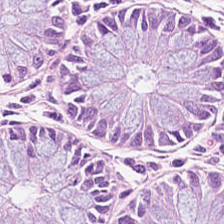Hematoxylin-and-eosin section: normal colonic mucosa.
